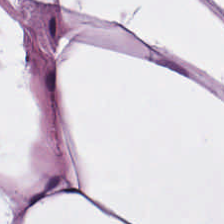H&E stain. Classification — adipocytes.
